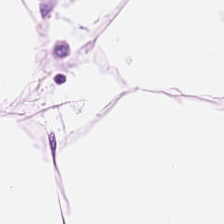Hematoxylin-and-eosin stained section. Predominantly adipose tissue.
